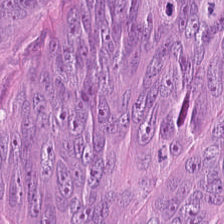H&E stain; formalin-fixed paraffin-embedded section — Showing adenocarcinoma.
